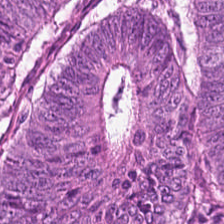Stain: H&E-stained tissue section.
Tissue: adenocarcinoma.
